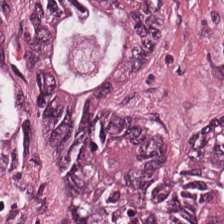H&E stain. 224×224 px patch — Adenocarcinoma.
